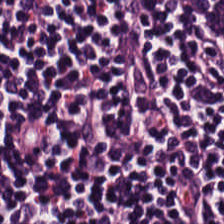Brightfield; hematoxylin-and-eosin stained section — Predominant tissue = lymphoid infiltrate.
